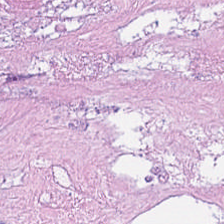Stain: hematoxylin-and-eosin stained section.
Tissue type: cellular debris.
